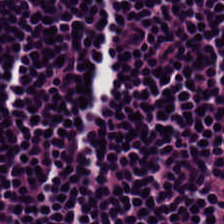H&E.
{"tissue_type": "lymphoid infiltrate"}
